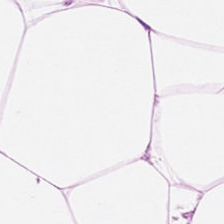Hematoxylin and eosin. 224×224 pixel tile — Tissue type — adipose.
